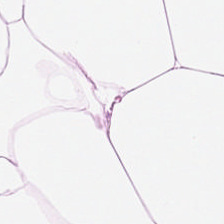Hematoxylin and eosin · FFPE — Q: What is the predominant tissue type?
A: It is adipose.
